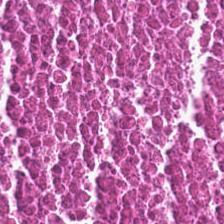The tissue here is debris.
